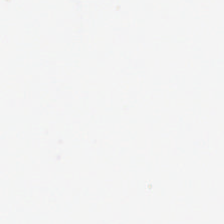224×224 px patch. Whole-slide-image patch. H&E stain. This patch shows no tissue.
